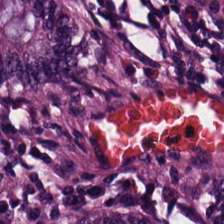H&E stain. This patch shows normal colon mucosa.
